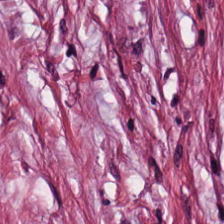H&E-stained tissue section · FFPE tissue section. This patch shows desmoplastic stroma.
